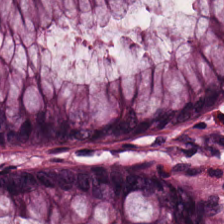Formalin-fixed paraffin-embedded section; hematoxylin and eosin. Normal colon mucosa.
